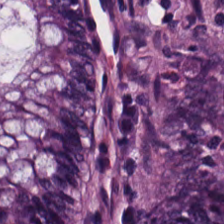H&E · 20× equivalent magnification · FFPE.
Impression → normal colonic mucosa.
